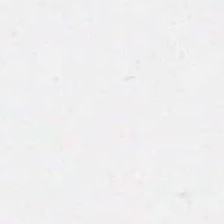Empty field — background.
